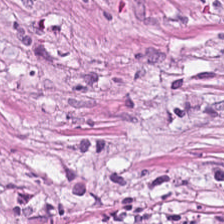Cancer-associated stroma.
